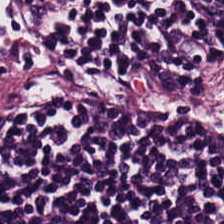0.5 µm per pixel; H&E-stained tissue section.
Tissue: lymphoid infiltrate.
